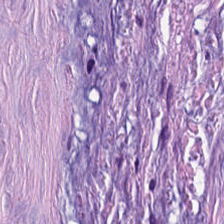Hematoxylin and eosin. The tissue is tumor-associated stroma.
